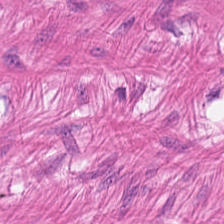H&E patch showing smooth muscle.
